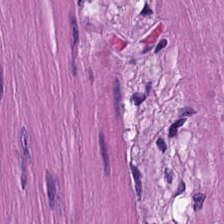224×224 px tile. Hematoxylin and eosin.
Showing smooth muscle.
